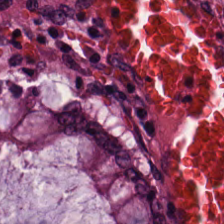Impression — benign colonic mucosa.
